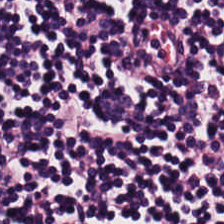H&E. This field is lymphocytic infiltrate.
